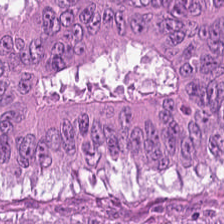Hematoxylin-and-eosin stained section.
Showing adenocarcinoma.
